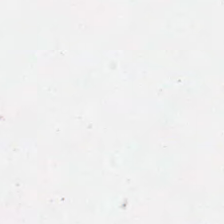H&E.
{"content": "no tissue"}
